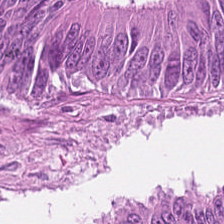Stain: hematoxylin-and-eosin stained section.
Acquisition: WSI patch.
Tissue: colorectal adenocarcinoma.
